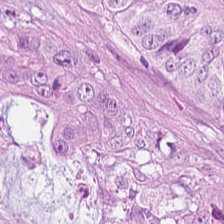Finding — malignant epithelium.
